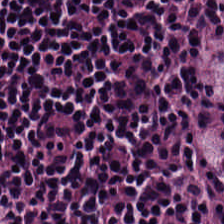Stain: H&E stain.
Predominant tissue: lymphocytic infiltrate.
